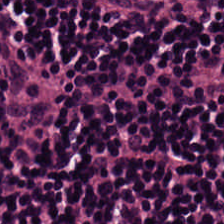H&E stain. 224×224 px tile. This field is lymphocytes.
